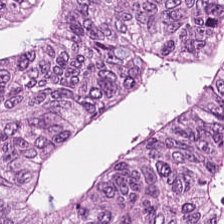H&E-stained tissue section. Q: What type of tissue is this?
A: It is colorectal adenocarcinoma epithelium.
